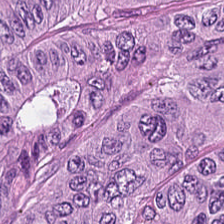The tissue class is colorectal adenocarcinoma.
